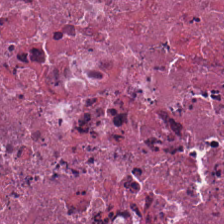224×224 px patch; WSI patch; H&E stain. Predominant tissue — cellular debris.
